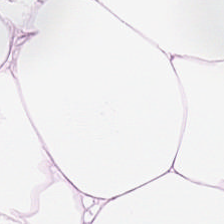The tissue here is adipose.
